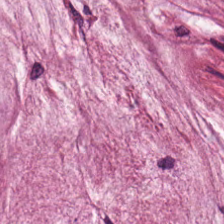Stain: H&E stain.
Acquisition: brightfield.
Tissue class: mucus.
